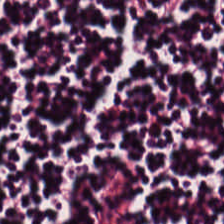H&E-stained tissue section · brightfield microscopy — The tissue here is lymphocytes.
